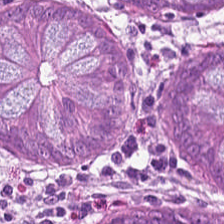Q: What type of tissue is this?
A: This is benign colonic mucosa.
